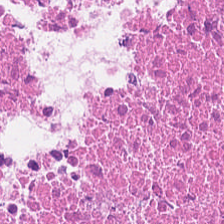H&E-stained tissue section · WSI patch · 224×224 pixel tile. Showing cellular debris.
